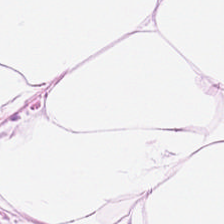0.5 microns per pixel · H&E. The tissue here is adipocytes.
